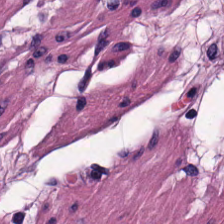H&E-stained tissue section. 224×224 pixel tile — Q: What is shown here?
A: It is smooth muscle.
